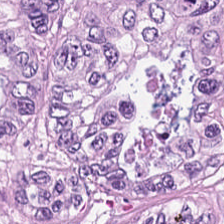Hematoxylin-and-eosin stained section; 0.5 microns per pixel.
The predominant tissue is malignant epithelium.
